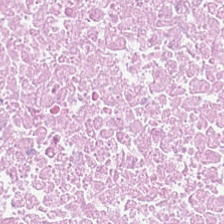H&E — debris.
